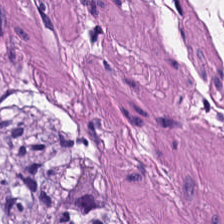Stain: hematoxylin and eosin.
Tissue class: smooth-muscle tissue.
